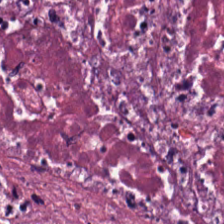H&E-stained tissue section.
The tissue here is debris.
